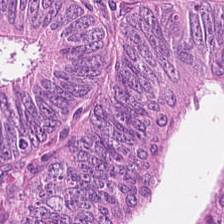H&E stain. Q: What tissue is shown?
A: This is malignant epithelium.
